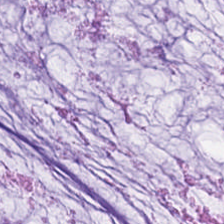H&E-stained tissue section; 0.5 µm/px — Predominantly mucin.
